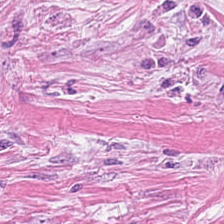Stain: H&E.
Tissue class: tumor-associated stroma.
